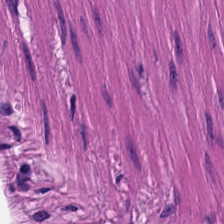H&E-stained section; the field shows smooth muscle.
